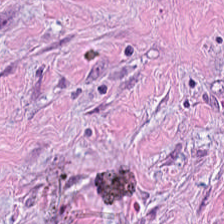Stain: H&E.
Classification: desmoplastic stroma.
